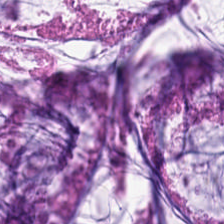Histology → mucus.
